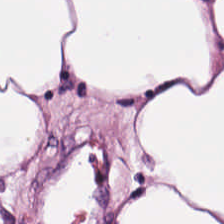Formalin-fixed paraffin-embedded section; 224×224 px tile; hematoxylin-and-eosin stained section. Q: Identify the tissue.
A: Adipose.
